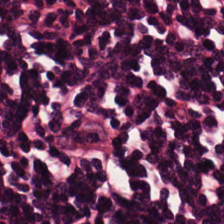Hematoxylin-and-eosin stained section.
Finding — lymphoid infiltrate.
